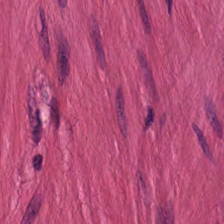Brightfield microscopy; H&E.
Q: Classify this patch.
A: This is smooth-muscle tissue.
